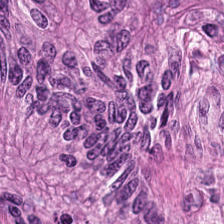224×224 px patch; hematoxylin and eosin. The tissue type is colorectal adenocarcinoma epithelium.
